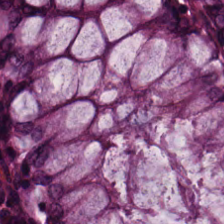224×224 pixel tile · hematoxylin and eosin · brightfield — Normal colonic mucosa.
